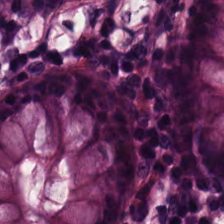H&E. This patch shows normal colonic mucosa.
